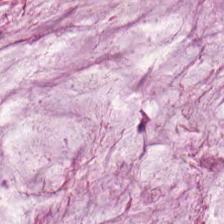Hematoxylin-and-eosin stained section.
Q: What does this patch show?
A: Mucus.
